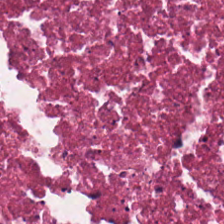Hematoxylin-and-eosin stained section — Q: What tissue is shown?
A: Necrotic debris.
